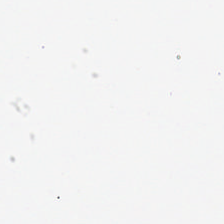Finding — background.
